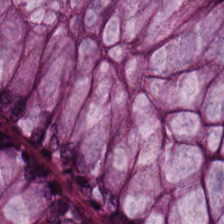Tissue class — normal colon mucosa.
